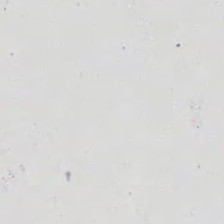H&E-stained tissue section. FFPE. 0.5 µm per pixel.
Background — no tissue in this field.
